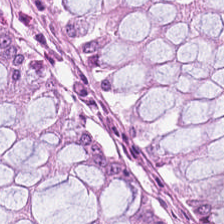Finding → non-neoplastic colon mucosa.
